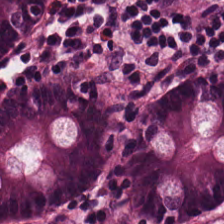Hematoxylin and eosin — Finding → normal colonic mucosa.
